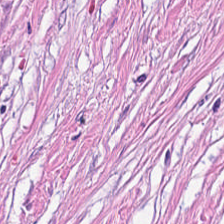20× equivalent magnification. H&E-stained tissue section. Predominantly cancer-associated stroma.
